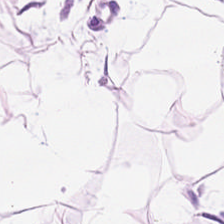H&E-stained section; the field shows fat tissue.
